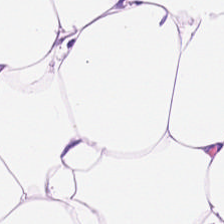H&E stain · 20× equivalent magnification · FFPE tissue section.
Predominantly adipose tissue.
